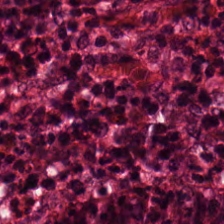Hematoxylin-and-eosin stained section — Impression — normal colonic mucosa.
